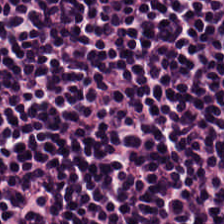H&E · 224×224 px tile.
Tissue class = lymphoid infiltrate.
